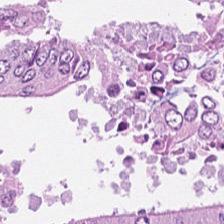0.5 µm/px. Hematoxylin-and-eosin stained section — Predominantly colorectal adenocarcinoma epithelium.
